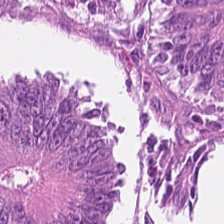Stain: H&E-stained tissue section.
Predominant tissue: colorectal adenocarcinoma epithelium.
